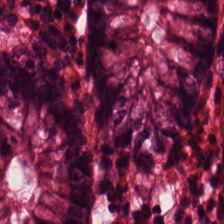Hematoxylin and eosin.
This field is non-neoplastic colon mucosa.
